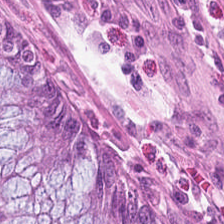The predominant tissue is normal colonic mucosa.
